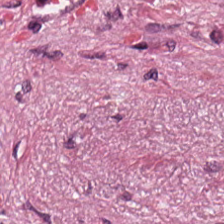H&E-stained tissue section. Finding → tumor stroma.
